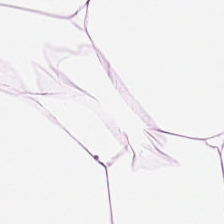Whole-slide-image patch · H&E stain. Q: What is the predominant tissue type?
A: It is adipocytes.
